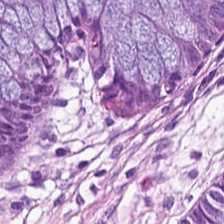0.5 microns per pixel; H&E-stained tissue section; FFPE. The tissue here is normal colon mucosa.
